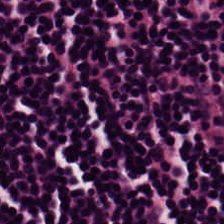H&E-stained tissue section showing lymphocytes.
